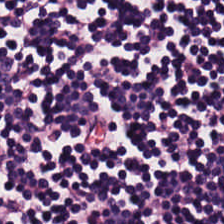H&E-stained tissue section.
Tissue class = lymphocytes.
